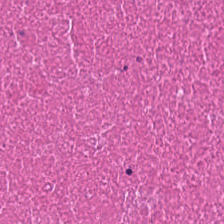Whole-slide-image patch · H&E stain. Q: What tissue is shown?
A: Cellular debris.
